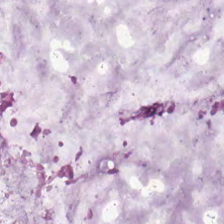Classification: extracellular mucin.
